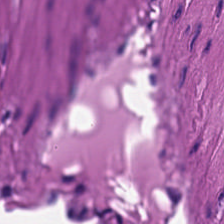Hematoxylin and eosin. This patch shows smooth-muscle tissue.
